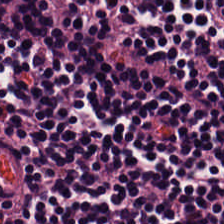H&E-stained tissue section. FFPE tissue section. Q: Classify this patch.
A: This is lymphocytes.
